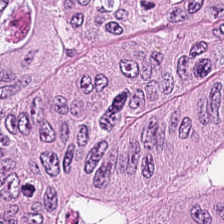H&E-stained tissue section.
The tissue class is colorectal adenocarcinoma epithelium.
